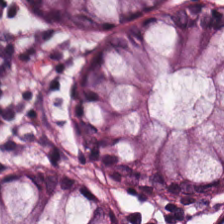Classification — normal colon mucosa.
